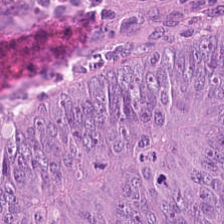Brightfield microscopy. H&E-stained tissue section.
Q: What tissue type is shown here?
A: It is colorectal adenocarcinoma epithelium.
